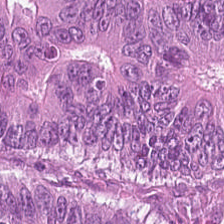Hematoxylin-and-eosin stained section — Predominantly colorectal adenocarcinoma.
